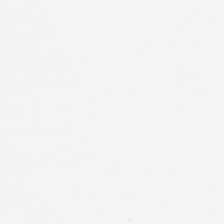Background — no tissue in this field.
